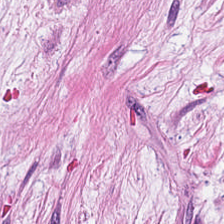Tissue: tumor-associated stroma.
